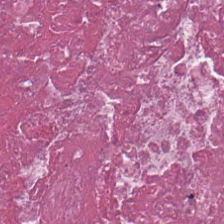The tissue here is necrotic debris.
